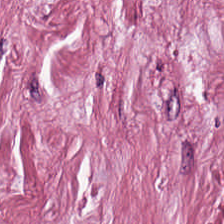224×224 pixel tile · 0.5 microns per pixel · H&E stain.
Predominant tissue = tumor stroma.
